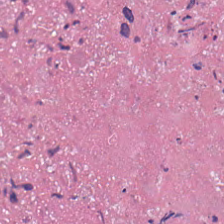H&E-stained tissue section showing cellular debris.
